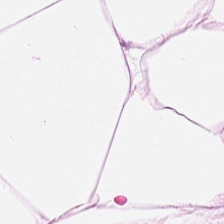Brightfield. H&E-stained tissue section. Predominantly adipose tissue.
